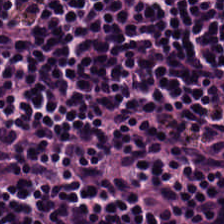Predominantly lymphocytes.
